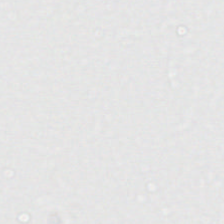Finding — no tissue.
